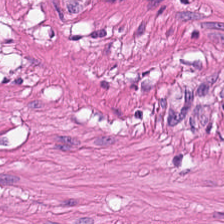Hematoxylin-and-eosin section: smooth-muscle tissue.
